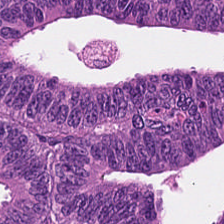H&E-stained tissue section; 0.5 µm per pixel. Predominantly adenocarcinoma.
